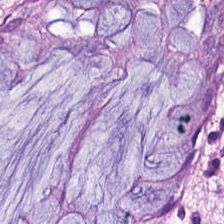Stain: H&E.
Tissue class: normal colonic mucosa.
